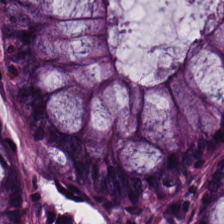H&E stain.
Classification — non-neoplastic colon mucosa.
